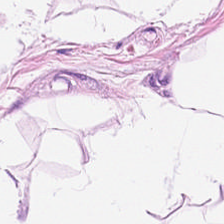FFPE tissue section · 0.5 µm per pixel · H&E-stained tissue section.
Q: What is shown in this field?
A: It is adipose tissue.
